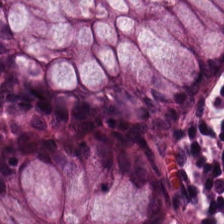Hematoxylin and eosin. The tissue here is normal colon mucosa.
